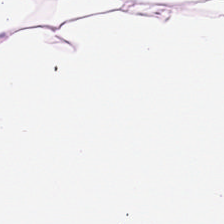0.5 µm/px. 224×224 px tile. Hematoxylin and eosin. This patch shows adipose.
